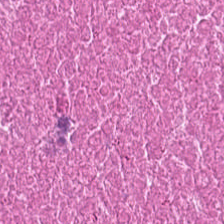H&E.
Showing necrotic debris.
